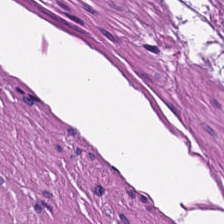0.5 µm/px; brightfield; hematoxylin and eosin. Histology → smooth-muscle tissue.
